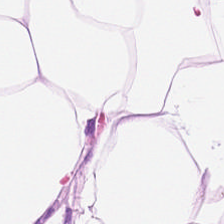224×224 px tile. 0.5 µm per pixel. Hematoxylin and eosin. Predominantly fat tissue.
